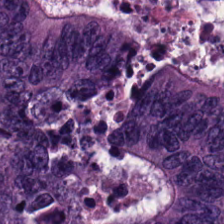H&E. Malignant epithelium.
